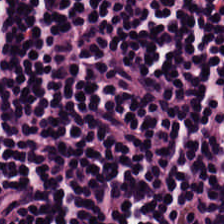H&E — Histology → lymphoid infiltrate.
